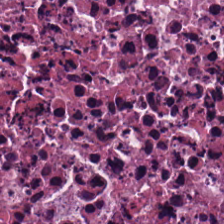H&E. Showing debris.
